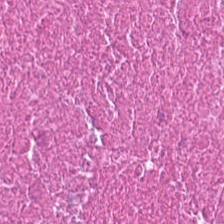FFPE · H&E-stained tissue section · 224×224 pixel tile — The tissue class is necrotic debris.
